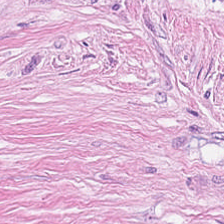Hematoxylin-and-eosin stained section; brightfield microscopy; 224×224 px tile. {"tissue_type": "cancer-associated stroma"}
